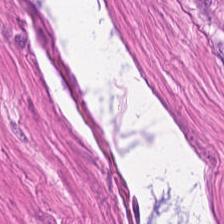Muscularis.
